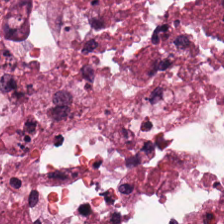H&E. Predominant tissue: debris.
